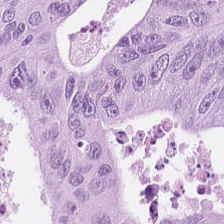Hematoxylin-and-eosin stained section — Predominantly colorectal adenocarcinoma epithelium.
